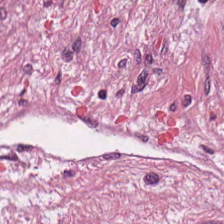H&E-stained tissue section showing tumor-associated stroma.
